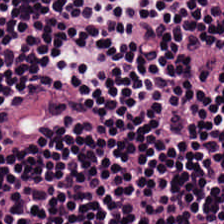Hematoxylin and eosin. Tissue class: lymphocytic infiltrate.
